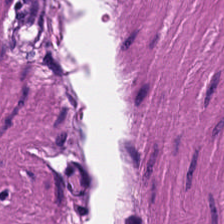0.5 µm per pixel; H&E — Tissue — smooth muscle.
